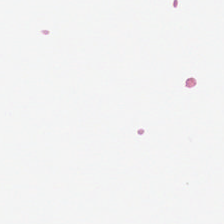Hematoxylin and eosin — No tissue present; background only.
